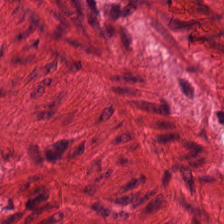H&E-stained tissue section.
Q: What is shown in this field?
A: This is smooth-muscle tissue.
